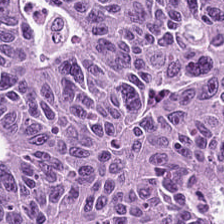Brightfield microscopy · hematoxylin-and-eosin stained section — This field is tumor epithelium.
